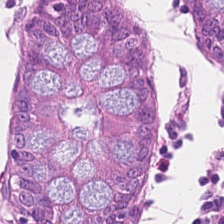Tissue class = normal colon mucosa.
